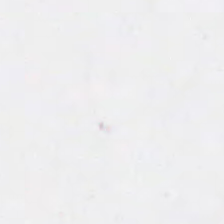224×224 px tile · FFPE · H&E-stained tissue section. Q: What is shown in this field?
A: It is background.
